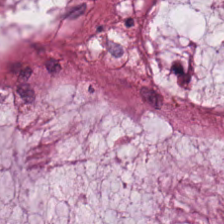Whole-slide-image patch; hematoxylin-and-eosin stained section — Q: What type of tissue is this?
A: Mucus.
